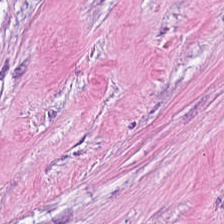0.5 microns per pixel; H&E stain; brightfield microscopy.
Histology — desmoplastic stroma.
